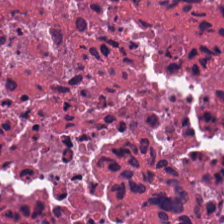Hematoxylin and eosin.
Tissue type — necrotic debris.
